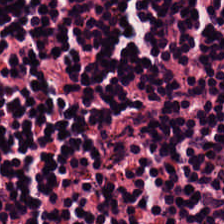0.5 µm/px · whole-slide-image patch · H&E-stained tissue section — Q: Classify this patch.
A: The field shows lymphocytes.
